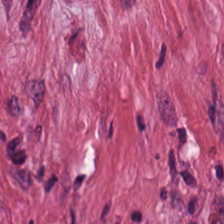The tissue class is tumor-associated stroma.
